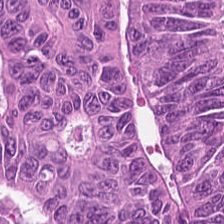The tissue class is colorectal adenocarcinoma epithelium.
